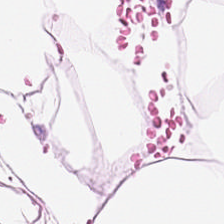20× equivalent magnification · H&E. The predominant tissue is adipocytes.
